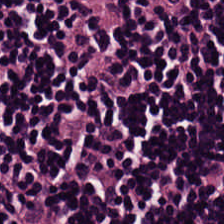Hematoxylin and eosin · 0.5 µm per pixel.
Lymphocyte aggregate.
